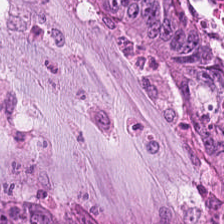FFPE; H&E; 224×224 px patch.
{"tissue_type": "adenocarcinoma"}
